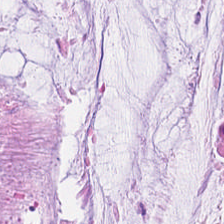Hematoxylin-and-eosin stained section. This patch shows mucin.
